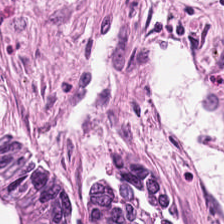0.5 µm/px. FFPE. H&E-stained tissue section.
Q: What is shown here?
A: Colorectal adenocarcinoma epithelium.
